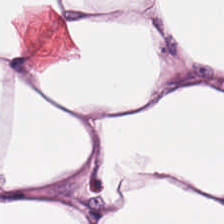H&E patch showing fat tissue.
